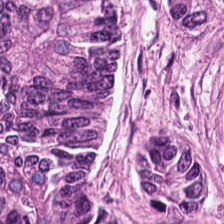224×224 px patch. Hematoxylin and eosin. Whole-slide-image patch. Q: What tissue is shown?
A: The field shows adenocarcinoma.
